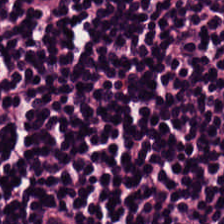H&E-stained section; the field shows lymphocytic infiltrate.
